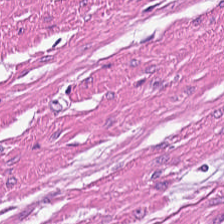Tissue type = muscularis.
